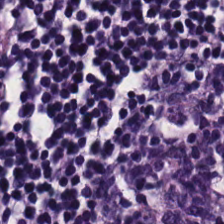H&E stain; FFPE; 224×224 px patch — This patch shows lymphocyte aggregate.
